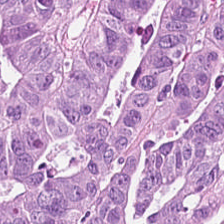Hematoxylin and eosin.
The classification is adenocarcinoma.
